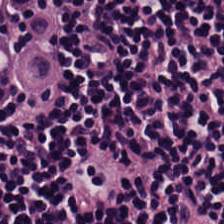Stain: H&E-stained tissue section.
Preparation: formalin-fixed paraffin-embedded section.
Resolution: 0.5 µm per pixel.
Tissue type: lymphocytic infiltrate.
